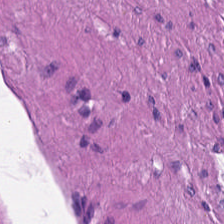H&E-stained tissue section. WSI patch.
Tissue class: smooth-muscle tissue.
